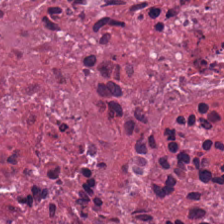Stain: H&E stain.
Tissue type: necrotic debris.
